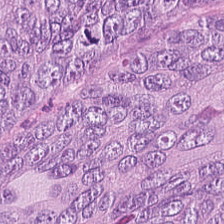224×224 pixel tile; hematoxylin and eosin. Tissue class = tumor epithelium.
